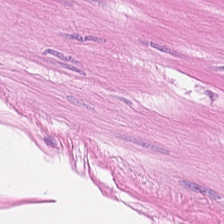Muscularis.
